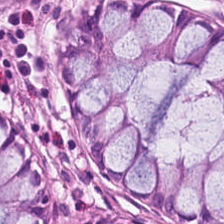Hematoxylin-and-eosin stained section. {"tissue_type": "benign colonic mucosa"}
